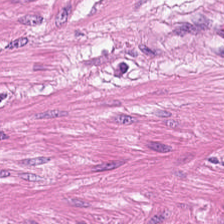Histology — smooth muscle.
